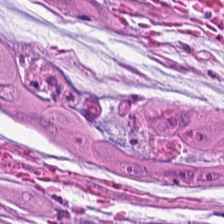0.5 microns per pixel. H&E-stained tissue section. FFPE — Tissue = extracellular mucin.
